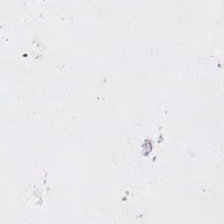0.5 µm/px; H&E-stained tissue section. Q: Classify this patch.
A: Empty background.
